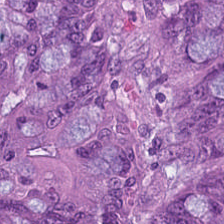H&E; WSI patch.
Tissue = colorectal adenocarcinoma.
